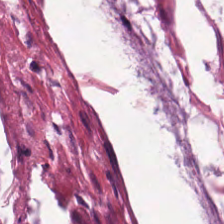224×224 pixel tile; H&E; 0.5 µm per pixel — This patch shows mucus.
